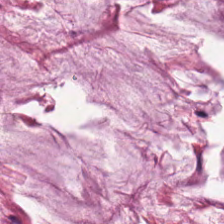H&E-stained section; the field shows mucin.
